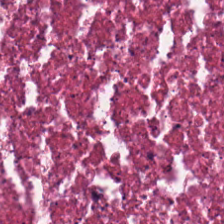H&E-stained section; the field shows debris.
